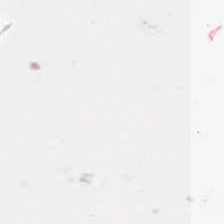Histology — background (no tissue).
